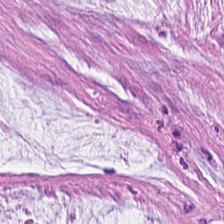Stain: H&E-stained tissue section.
Tile size: 224×224 px tile.
Predominant tissue: mucus.
